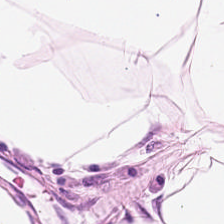Brightfield microscopy · hematoxylin-and-eosin stained section. Q: What does this patch show?
A: It is adipocytes.
